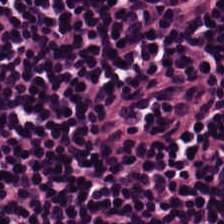Hematoxylin-and-eosin stained section — The classification is lymphocyte aggregate.
